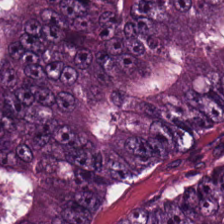H&E stain. This field is tumor epithelium.
